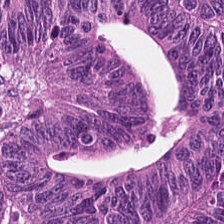H&E-stained tissue section. 0.5 µm/px. Formalin-fixed paraffin-embedded section.
This field is malignant epithelium.
